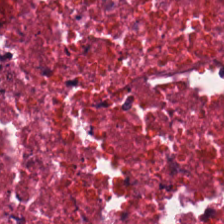Stain: hematoxylin-and-eosin stained section.
Resolution: 0.5 microns per pixel.
Classification: debris.
